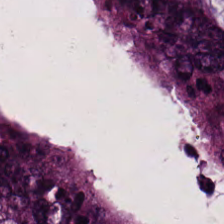H&E stain; formalin-fixed paraffin-embedded section. Predominant tissue = colorectal adenocarcinoma epithelium.
